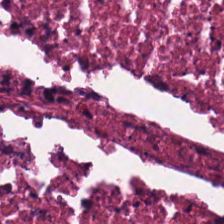Stain: hematoxylin and eosin.
Acquisition: brightfield.
Tile size: 224×224 px patch.
Predominant tissue: debris.
